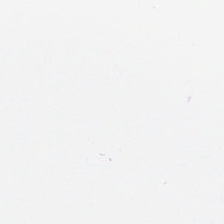0.5 µm/px. Hematoxylin-and-eosin stained section.
Field content = background.
